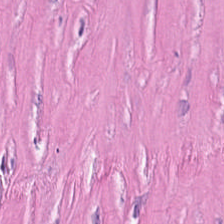Hematoxylin-and-eosin stained section · 0.5 microns per pixel · formalin-fixed paraffin-embedded section.
The predominant tissue is tumor stroma.
